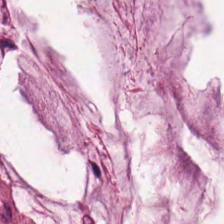H&E-stained tissue section · FFPE. Mucus.
